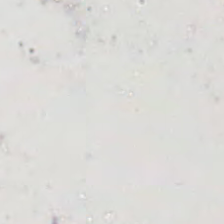H&E — Classification — no tissue.
